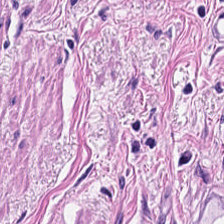Stain: hematoxylin-and-eosin stained section.
Classification: smooth-muscle tissue.
